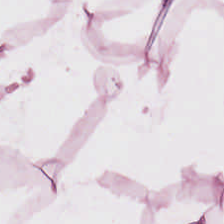20× equivalent magnification. Hematoxylin and eosin — Tissue = fat tissue.
